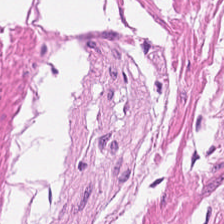WSI patch; hematoxylin and eosin. The tissue type is muscularis.
